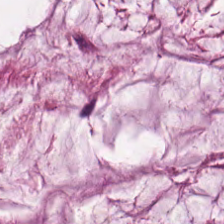Hematoxylin-and-eosin stained section · brightfield.
Tissue — mucus.
